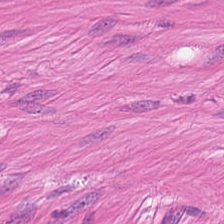H&E.
Showing smooth muscle.
